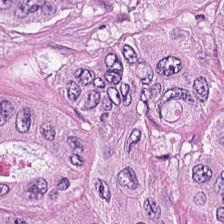224×224 px tile; H&E-stained tissue section; brightfield.
The predominant tissue is malignant epithelium.
